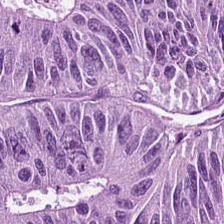0.5 µm per pixel · H&E.
Q: What is the predominant tissue type?
A: The field shows colorectal adenocarcinoma epithelium.
